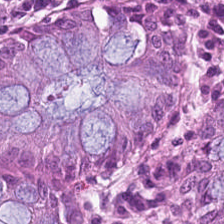H&E-stained tissue section. This field is normal colonic mucosa.
